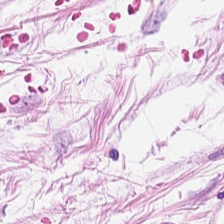WSI patch; H&E. Tissue class: fat tissue.
